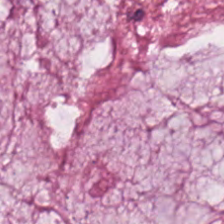Hematoxylin and eosin · WSI patch — Showing mucin.
